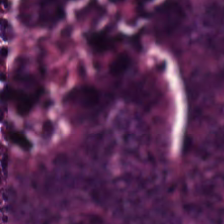H&E-stained tissue section; 224×224 px patch. Classification: tumor epithelium.
